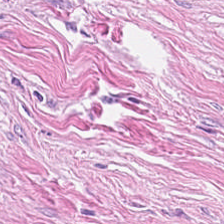Hematoxylin-and-eosin stained section. 224×224 pixel tile.
{"tissue_type": "tumor stroma"}
